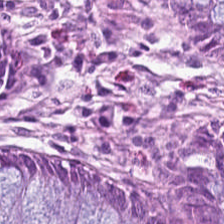Stain: H&E.
Predominant tissue: non-neoplastic colon mucosa.
